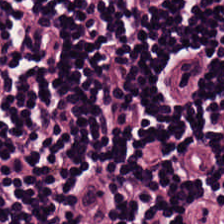Predominant tissue = lymphocyte aggregate.
